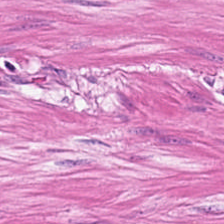Smooth muscle.
